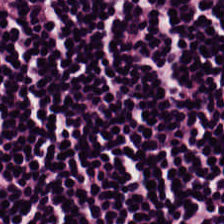224×224 pixel tile; hematoxylin-and-eosin stained section. Predominantly lymphocytes.
